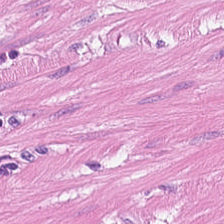H&E-stained tissue section. This patch shows smooth muscle.
